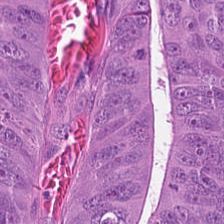H&E stain; WSI patch. The tissue is tumor epithelium.
